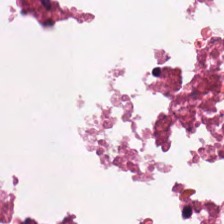Stain: hematoxylin-and-eosin stained section.
Predominant tissue: necrotic debris.
